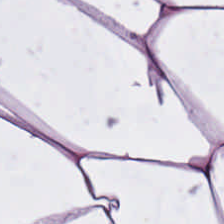Hematoxylin-and-eosin stained section · 0.5 microns per pixel · 224×224 px tile. Q: What does this patch show?
A: It is adipocytes.
